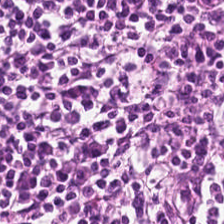Hematoxylin and eosin. The predominant tissue is lymphocytic infiltrate.
